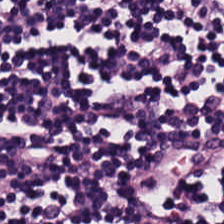H&E. The tissue here is lymphocytes.
